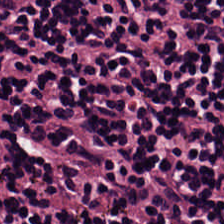Stain: H&E stain.
Acquisition: whole-slide-image patch.
Resolution: 0.5 µm/px.
Tissue class: lymphocyte aggregate.
